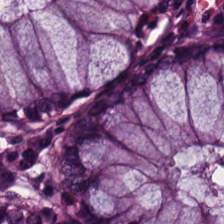Hematoxylin and eosin. Non-neoplastic colon mucosa.
